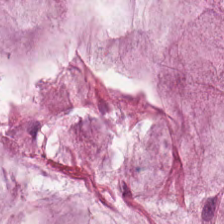Formalin-fixed paraffin-embedded section · hematoxylin and eosin — The predominant tissue is extracellular mucin.
